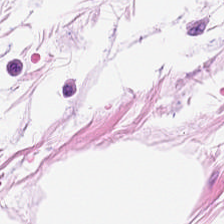0.5 µm/px. H&E stain.
{"tissue_type": "adipocytes"}
